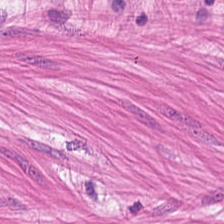Stain: H&E.
Predominant tissue: smooth-muscle tissue.
